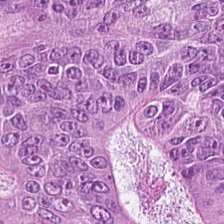Hematoxylin and eosin. 0.5 microns per pixel. Formalin-fixed paraffin-embedded section — Predominantly tumor epithelium.
